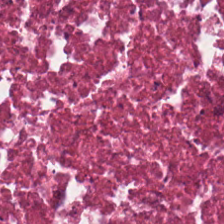224×224 pixel tile · whole-slide-image patch · H&E stain — Histology → necrotic debris.
